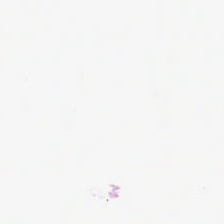H&E. Q: What is shown here?
A: Empty background.
